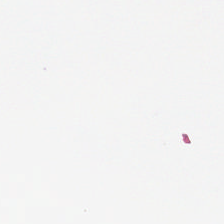224×224 px tile · hematoxylin and eosin — The content is background.
